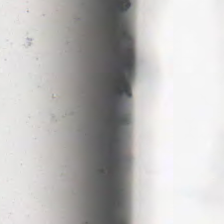224×224 pixel tile · H&E-stained tissue section — The field content is background (no tissue).
